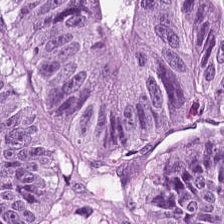H&E stain.
Q: What is the predominant tissue type?
A: Malignant epithelium.
